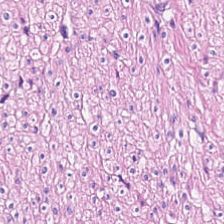The tissue here is smooth muscle.
